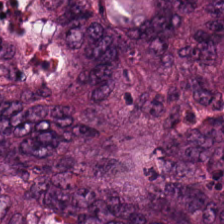Stain: H&E-stained tissue section.
Tissue: adenocarcinoma.
